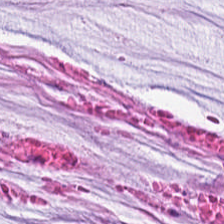Stain: H&E-stained tissue section.
Predominant tissue: extracellular mucin.
